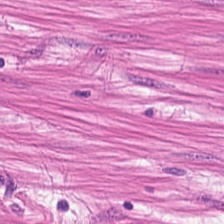Showing smooth-muscle tissue.
